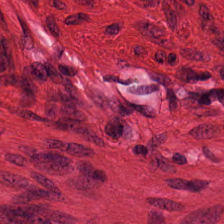H&E stain.
This patch shows smooth-muscle tissue.
